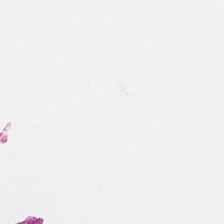Background — no tissue in this field.
